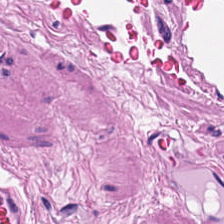Brightfield microscopy; H&E — {"tissue_type": "smooth-muscle tissue"}
